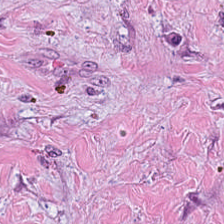Hematoxylin and eosin; 224×224 pixel tile. The classification is cancer-associated stroma.
